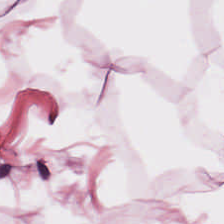Hematoxylin and eosin. Predominantly fat tissue.
